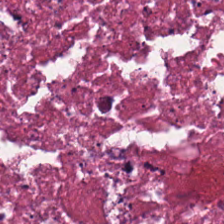Predominant tissue — cellular debris.
